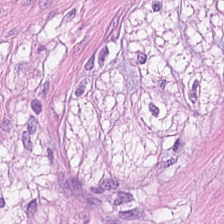224×224 pixel tile · H&E-stained tissue section · FFPE tissue section.
Q: Identify the tissue.
A: Muscularis.
